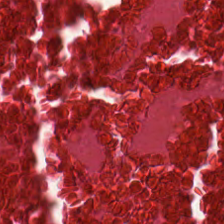This field is necrotic debris.
